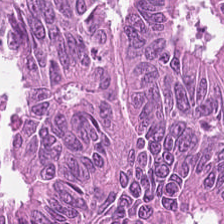Hematoxylin-and-eosin stained section.
Colorectal adenocarcinoma.
